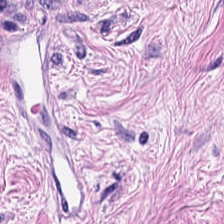Hematoxylin and eosin.
This field is desmoplastic stroma.
